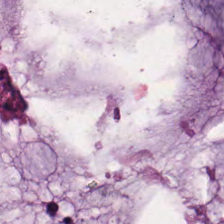Hematoxylin-and-eosin stained section. 20× equivalent magnification — Tissue = mucus.
